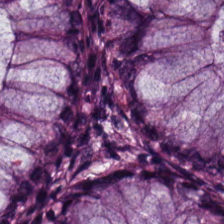H&E stain — Tissue class — normal colonic mucosa.
